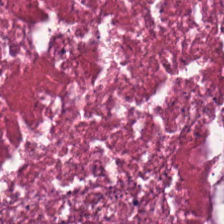0.5 microns per pixel; H&E stain; FFPE tissue section. Showing debris.
